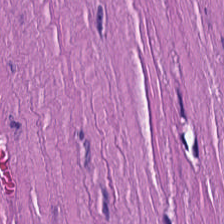Stain: H&E stain.
Resolution: 0.5 µm/px.
Tissue: muscularis.
